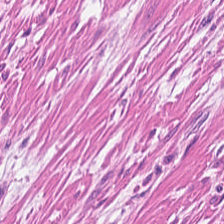FFPE; H&E stain.
Q: What tissue is shown?
A: The field shows muscularis.
